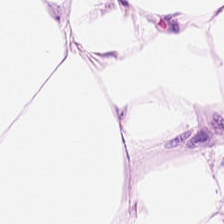Stain: H&E stain.
Tissue class: adipose.
